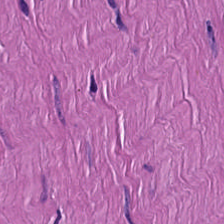WSI patch. H&E. Q: What is shown in this field?
A: This is smooth muscle.
